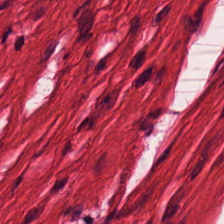H&E-stained section; the field shows muscularis.
